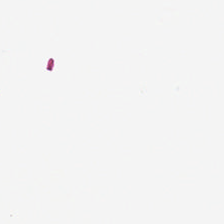Stain: hematoxylin-and-eosin stained section.
Tile size: 224×224 px tile.
Field content: background (no tissue).
